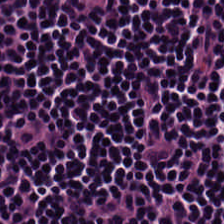Hematoxylin-and-eosin stained section — Q: What is the predominant tissue type?
A: This is lymphoid infiltrate.
